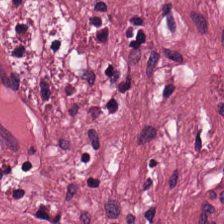Classification: desmoplastic stroma.
